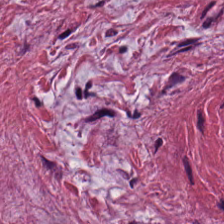H&E stain; 224×224 px tile.
Impression → tumor stroma.
